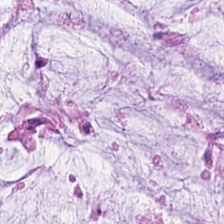H&E stain — This field is mucin.
